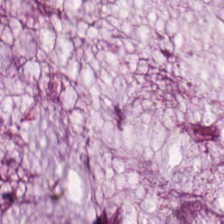H&E-stained tissue section — The predominant tissue is extracellular mucin.
